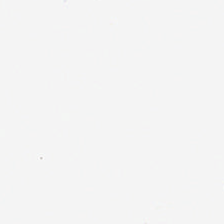H&E-stained tissue section. No tissue present; background only.
